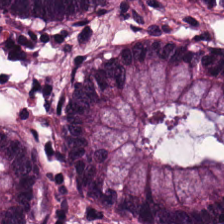0.5 µm/px; hematoxylin-and-eosin stained section. Tissue class: non-neoplastic colon mucosa.
